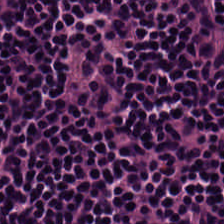H&E. Q: What tissue type is shown here?
A: Lymphocytes.
